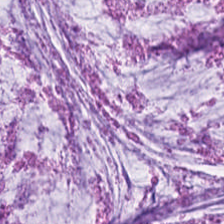Stain: hematoxylin and eosin.
Tissue: mucin.
